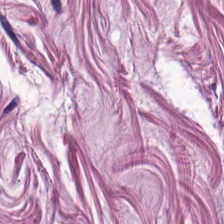Classification: smooth muscle.
